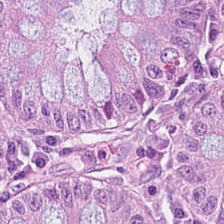20× equivalent magnification; hematoxylin-and-eosin stained section — This field is benign colonic mucosa.
